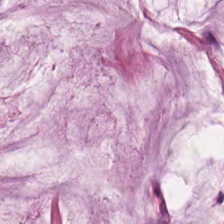H&E stain.
{"tissue_type": "extracellular mucin"}
